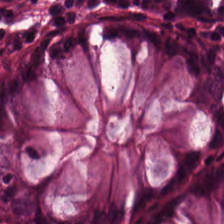Classification: non-neoplastic colon mucosa.
